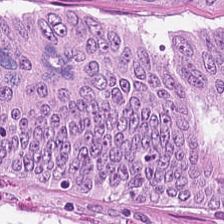H&E.
Tissue class = colorectal adenocarcinoma epithelium.
